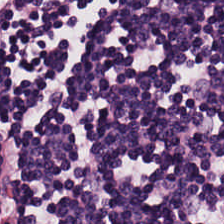Whole-slide-image patch. 20× equivalent magnification. Hematoxylin-and-eosin stained section.
Showing lymphocytes.
